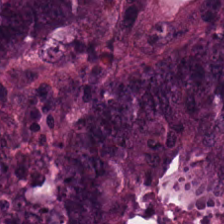Stain: H&E-stained tissue section.
Predominant tissue: malignant epithelium.
